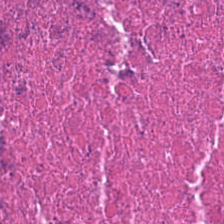H&E-stained tissue section. Histology → necrotic debris.
